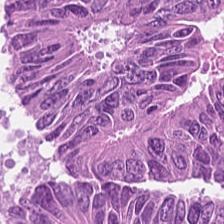Hematoxylin and eosin — {"tissue_type": "colorectal adenocarcinoma"}
